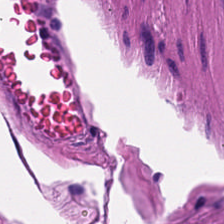0.5 microns per pixel · FFPE · H&E-stained tissue section.
The classification is smooth muscle.
